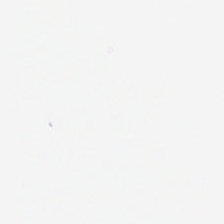FFPE tissue section · H&E stain — {"content": "background (no tissue)"}
